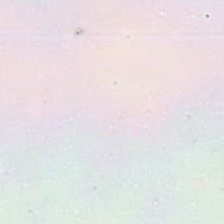Hematoxylin and eosin · 0.5 µm per pixel. Empty field — background.
